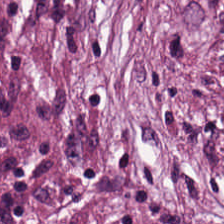224×224 pixel tile · formalin-fixed paraffin-embedded section · H&E-stained tissue section — Q: What does this patch show?
A: The field shows tumor stroma.
